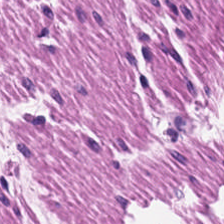Stain: H&E.
Acquisition: whole-slide-image patch.
Preparation: FFPE tissue section.
Classification: smooth-muscle tissue.
